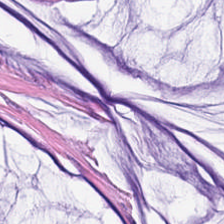Stain: hematoxylin and eosin.
Tile size: 224×224 px patch.
Tissue class: mucin.
